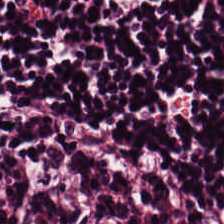Q: What type of tissue is this?
A: Lymphoid infiltrate.
